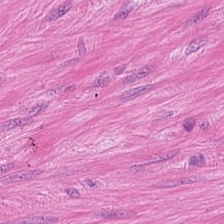Hematoxylin and eosin.
Q: What does this patch show?
A: It is muscularis.
